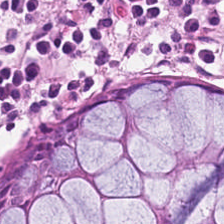Stain: H&E stain.
Tissue: normal colonic mucosa.
